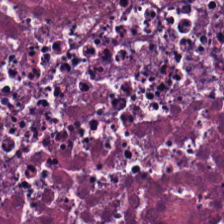Impression — cellular debris.
